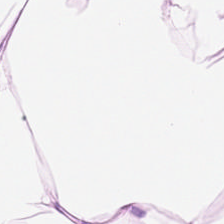224×224 px tile. Hematoxylin-and-eosin stained section. Predominantly adipose tissue.
